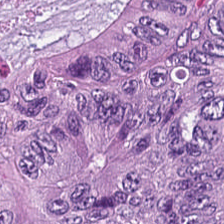Hematoxylin and eosin. Predominantly malignant epithelium.
